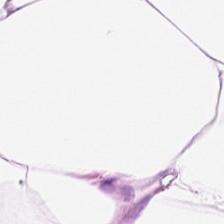H&E patch showing adipose tissue.
